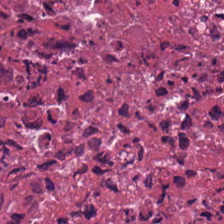Q: Classify this patch.
A: It is cellular debris.
